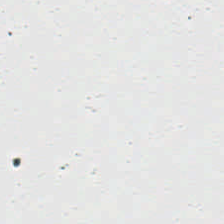Field content = empty background.
